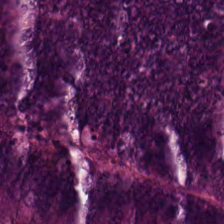Hematoxylin and eosin.
{"tissue_type": "colorectal adenocarcinoma"}
